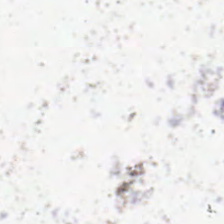H&E-stained tissue section.
This patch shows background (no tissue).
